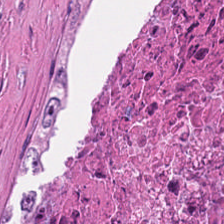H&E stain.
The tissue here is cellular debris.
